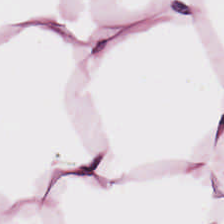Tissue class = adipose tissue.
